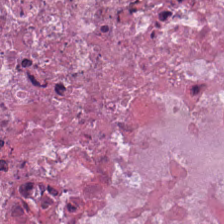H&E.
Histology → necrotic debris.
